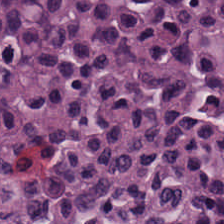The predominant tissue is lymphoid infiltrate.
